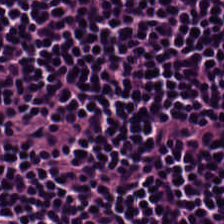Stain: hematoxylin-and-eosin stained section.
Preparation: FFPE tissue section.
Acquisition: brightfield.
Predominant tissue: lymphocytes.
